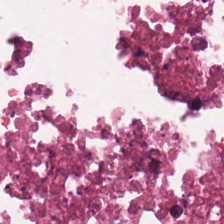H&E-stained tissue section. Histology — cellular debris.
